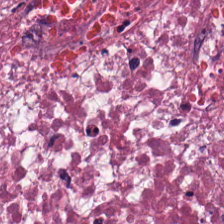Stain: hematoxylin-and-eosin stained section.
Classification: debris.
